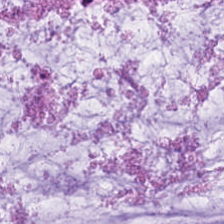Predominant tissue — mucin.
